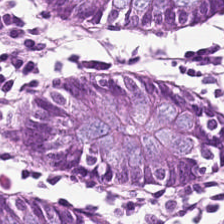H&E-stained tissue section.
Histology — benign colonic mucosa.
